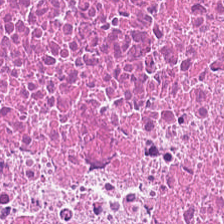H&E. Q: What is shown in this field?
A: Necrotic debris.
